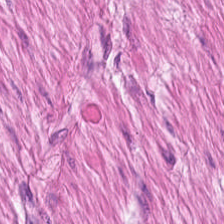Stain: hematoxylin and eosin.
Predominant tissue: smooth muscle.
